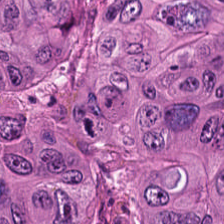Stain: hematoxylin-and-eosin stained section.
Tissue type: tumor epithelium.
